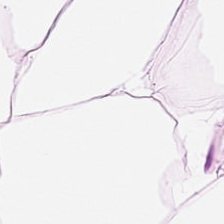Stain: hematoxylin-and-eosin stained section.
Tissue: adipocytes.
